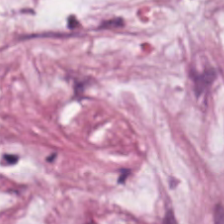Hematoxylin-and-eosin stained section — The tissue is tumor stroma.
